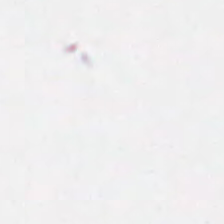Hematoxylin and eosin · formalin-fixed paraffin-embedded section.
Q: What is shown in this field?
A: Background (no tissue).
